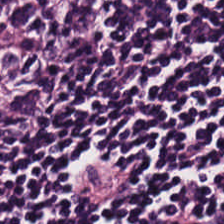This patch shows lymphocytic infiltrate.
